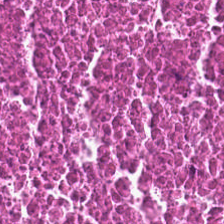H&E — necrotic debris.
